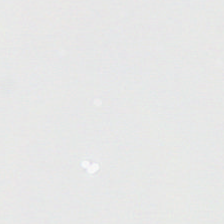Hematoxylin-and-eosin stained section.
Classification = background (no tissue).
